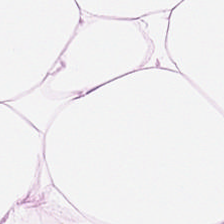Hematoxylin-and-eosin stained section. Q: What tissue type is shown here?
A: Adipocytes.
